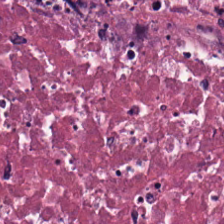H&E — cellular debris.
